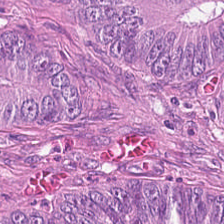Q: What is the predominant tissue type?
A: Colorectal adenocarcinoma epithelium.
